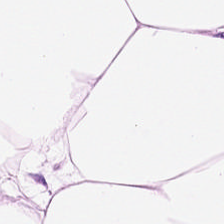Impression → adipocytes.
